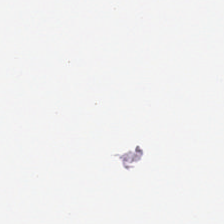Empty background.
